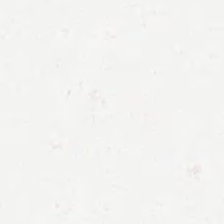This patch shows background (no tissue).
